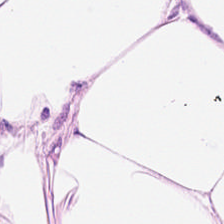0.5 µm per pixel. H&E — Tissue type: adipocytes.
